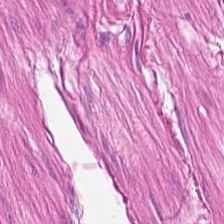Hematoxylin and eosin — Predominantly smooth-muscle tissue.
